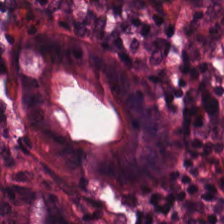H&E. Classification: normal colonic mucosa.
